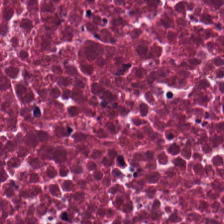H&E stain. FFPE tissue section — Q: What does this patch show?
A: The field shows necrotic debris.
